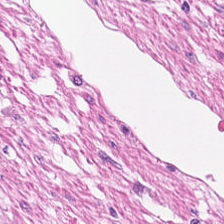H&E-stained tissue section.
The tissue is smooth muscle.
